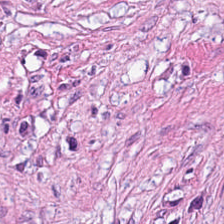FFPE · 224×224 px patch · H&E stain.
Tissue: desmoplastic stroma.
